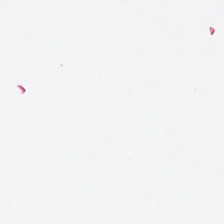H&E stain · 224×224 px tile. Histology — no tissue.
